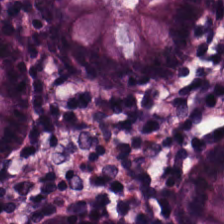H&E. Histology — non-neoplastic colon mucosa.
